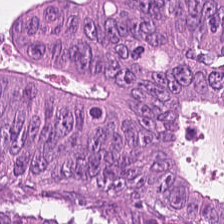Histology — adenocarcinoma.
